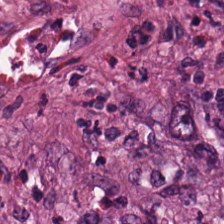H&E stain. Whole-slide-image patch. This field is tumor-associated stroma.
